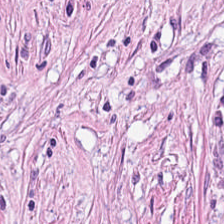H&E stain. The tissue class is tumor stroma.
